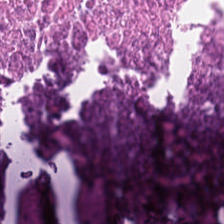Stain: H&E.
Tissue class: cellular debris.
